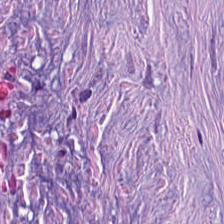The predominant tissue is tumor-associated stroma.
